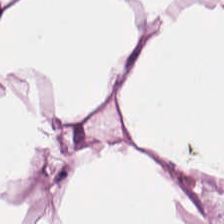Predominantly adipose tissue.
